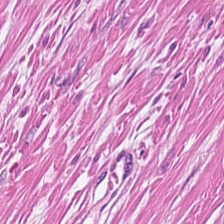H&E-stained tissue section; 0.5 microns per pixel.
Showing smooth-muscle tissue.
